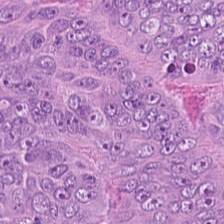20× equivalent magnification; H&E stain.
This patch shows malignant epithelium.
